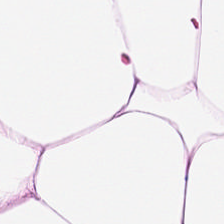Q: What tissue is shown?
A: It is adipose tissue.
